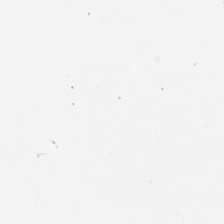H&E stain.
Q: What is shown here?
A: It is no tissue.
